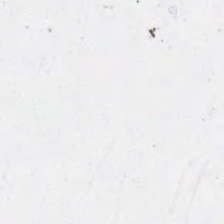Stain: hematoxylin and eosin.
Content: background.
